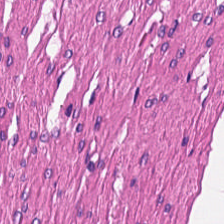Hematoxylin-and-eosin stained section. WSI patch. This field is muscularis.
